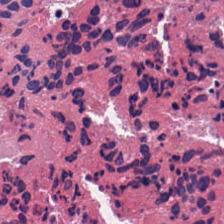H&E stain.
Finding → cellular debris.
